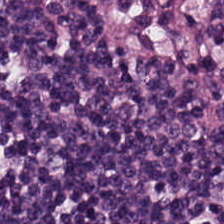H&E-stained tissue section.
The predominant tissue is lymphocytic infiltrate.
